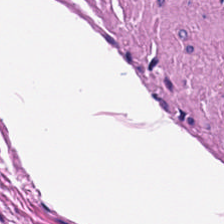Stain: H&E-stained tissue section.
Preparation: formalin-fixed paraffin-embedded section.
Classification: smooth-muscle tissue.
